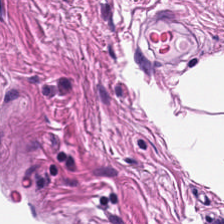Hematoxylin and eosin. Finding → smooth-muscle tissue.
